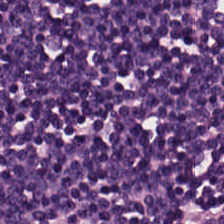Hematoxylin-and-eosin stained section. Predominant tissue = lymphocytic infiltrate.
